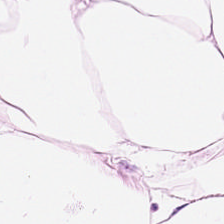224×224 pixel tile · hematoxylin-and-eosin stained section. Impression — adipocytes.
